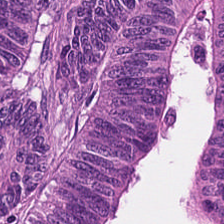H&E-stained tissue section. 224×224 px tile. Brightfield.
Q: Classify this patch.
A: It is colorectal adenocarcinoma epithelium.
